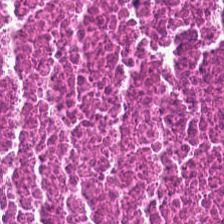H&E stain. 0.5 µm/px. 224×224 px patch. This field is cellular debris.
